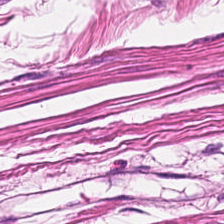Showing smooth muscle.
